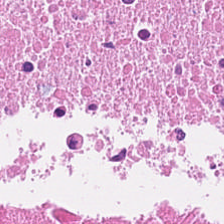FFPE tissue section · 20× equivalent magnification · hematoxylin and eosin.
{"tissue_type": "debris"}
